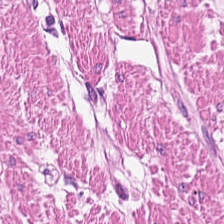Hematoxylin and eosin. 224×224 pixel tile — Showing smooth-muscle tissue.
